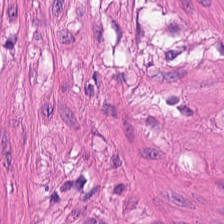H&E stain. {"tissue_type": "smooth muscle"}
